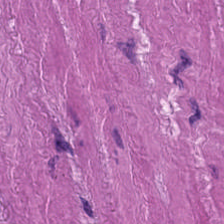H&E patch showing smooth-muscle tissue.
